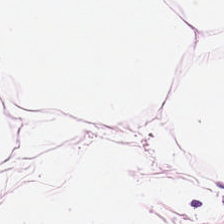Showing adipocytes.
